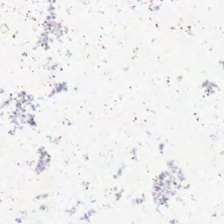H&E stain — Q: Classify this patch.
A: It is empty background.
